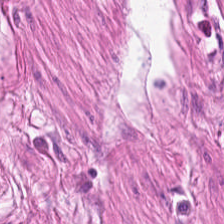H&E; 0.5 microns per pixel; 224×224 pixel tile — This field is smooth-muscle tissue.
